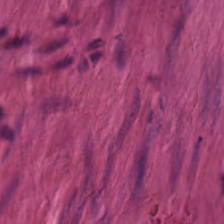Stain: H&E.
Acquisition: whole-slide-image patch.
Preparation: formalin-fixed paraffin-embedded section.
Tissue type: smooth muscle.
